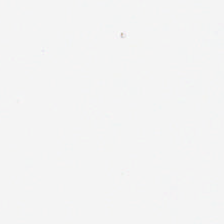0.5 microns per pixel · H&E stain.
Empty field — no tissue.
